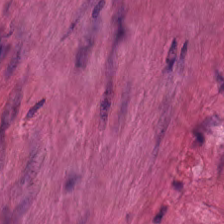H&E-stained tissue section. 224×224 pixel tile.
Tissue type = smooth muscle.
